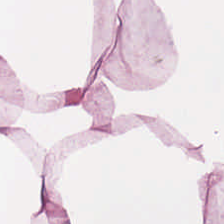H&E — Q: What is shown in this field?
A: Adipocytes.
